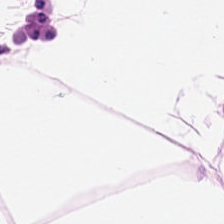H&E stain. WSI patch — Predominantly fat tissue.
